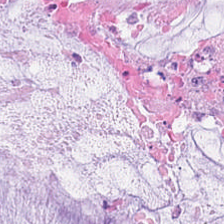Q: Identify the tissue.
A: It is mucin.
